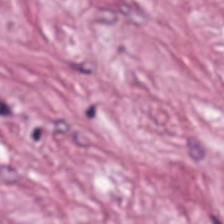H&E-stained tissue section; FFPE — Predominantly desmoplastic stroma.
